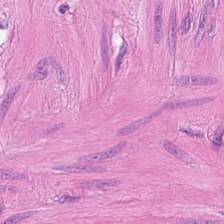H&E stain. Brightfield. Tissue — muscularis.
